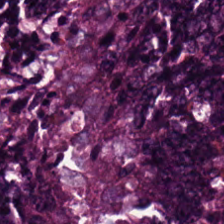Predominant tissue: colorectal adenocarcinoma.
